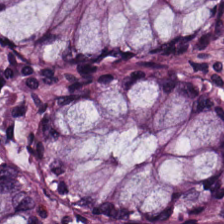Q: What does this patch show?
A: It is non-neoplastic colon mucosa.
